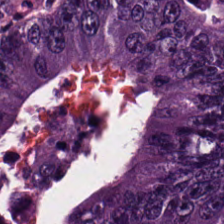Hematoxylin-and-eosin stained section — This patch shows colorectal adenocarcinoma.
